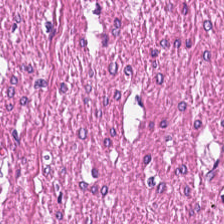Hematoxylin-and-eosin stained section — Impression — smooth-muscle tissue.
